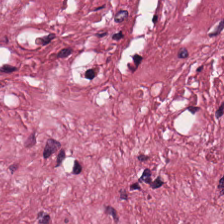H&E.
The tissue type is tumor-associated stroma.
